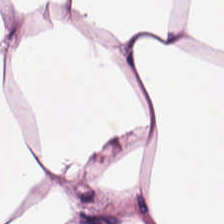The tissue class is adipose tissue.
